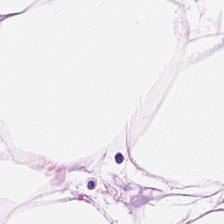H&E. 224×224 px patch — Q: What tissue is shown?
A: The field shows adipose.
